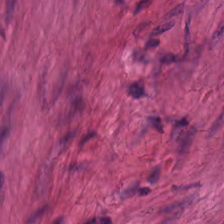0.5 µm/px. H&E stain. Smooth muscle.
